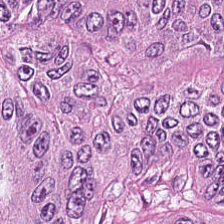Formalin-fixed paraffin-embedded section · 224×224 px tile · H&E.
Q: What tissue is shown?
A: This is malignant epithelium.
